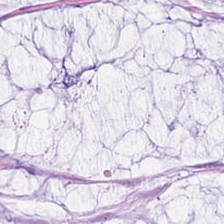H&E-stained tissue section — Showing extracellular mucin.
